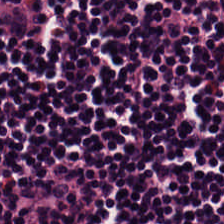0.5 µm/px. H&E stain. The predominant tissue is lymphocyte aggregate.
